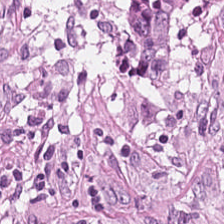Hematoxylin and eosin; 224×224 pixel tile; 0.5 microns per pixel — Histology — tumor stroma.
